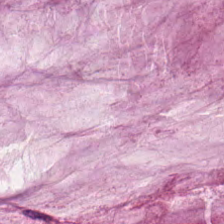FFPE tissue section · hematoxylin and eosin — This field is extracellular mucin.
